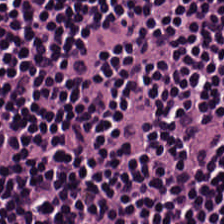Hematoxylin and eosin. Tissue: lymphoid infiltrate.
